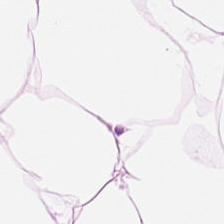H&E.
The predominant tissue is adipocytes.
